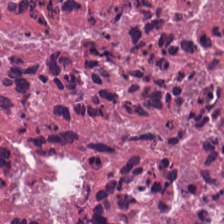H&E-stained tissue section. Q: What type of tissue is this?
A: The field shows cellular debris.
